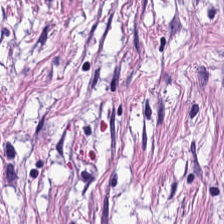H&E — Q: What tissue type is shown here?
A: This is tumor-associated stroma.
